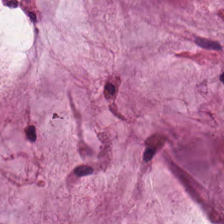Tissue class: mucin.
